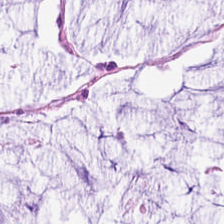Formalin-fixed paraffin-embedded section · hematoxylin and eosin — Predominantly extracellular mucin.
